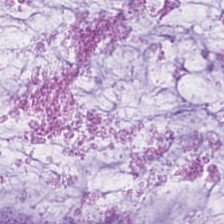H&E-stained tissue section. FFPE. Whole-slide-image patch — Mucus.
